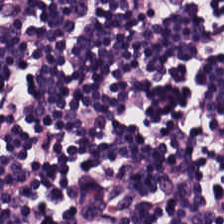The predominant tissue is lymphocytes.
